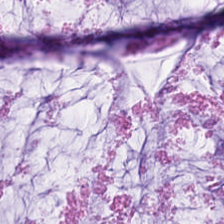H&E.
Q: What tissue is shown?
A: Mucin.
